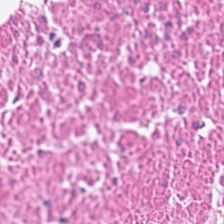Hematoxylin and eosin — This patch shows muscularis.
